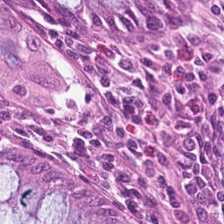Stain: H&E-stained tissue section.
Predominant tissue: non-neoplastic colon mucosa.
